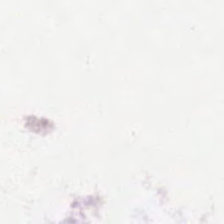Q: What is shown in this field?
A: It is background (no tissue).
